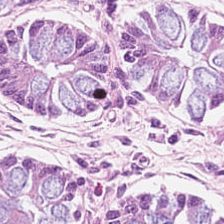Stain: H&E stain.
Tissue type: non-neoplastic colon mucosa.
